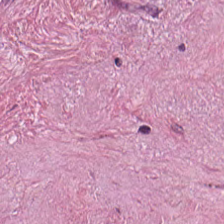0.5 microns per pixel; H&E-stained tissue section.
Classification — desmoplastic stroma.
